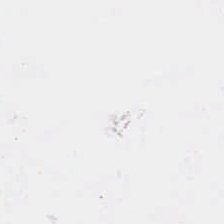0.5 µm per pixel · H&E · FFPE tissue section.
Impression — background (no tissue).
